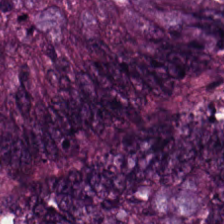H&E stain. Showing colorectal adenocarcinoma epithelium.
